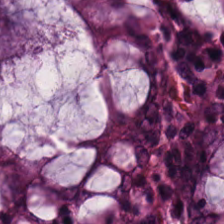224×224 px patch; hematoxylin and eosin — This field is non-neoplastic colon mucosa.
